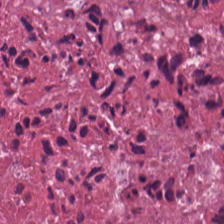Tissue = necrotic debris.
